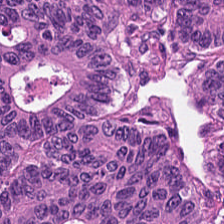Tissue class = adenocarcinoma.
